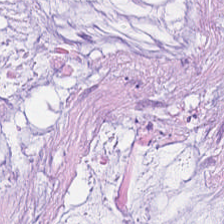H&E-stained section; the field shows mucus.
